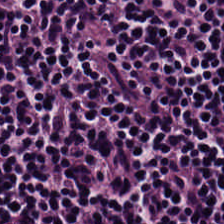H&E stain. Q: Classify this patch.
A: It is lymphocytic infiltrate.
